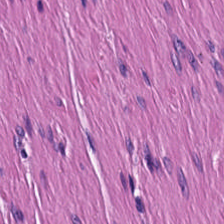Hematoxylin-and-eosin stained section; whole-slide-image patch; 224×224 px patch.
Impression → smooth-muscle tissue.
